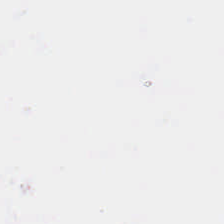Background — no tissue in this field.
